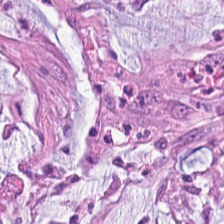The tissue here is mucus.
